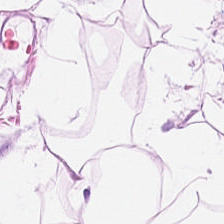WSI patch. H&E. 0.5 µm/px.
This field is adipocytes.
